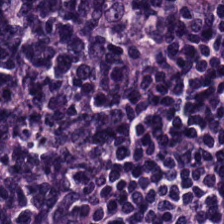Stain: H&E.
Resolution: 20× equivalent magnification.
Tissue: lymphoid infiltrate.
